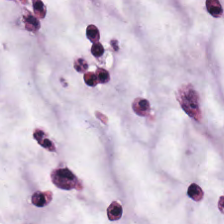Hematoxylin-and-eosin stained section · 0.5 µm per pixel. The tissue here is extracellular mucin.
